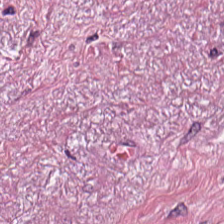H&E stain — Classification: desmoplastic stroma.
